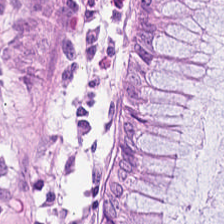H&E — benign colonic mucosa.
